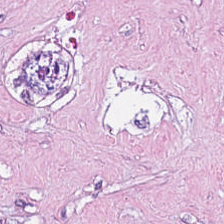Q: What does this patch show?
A: Debris.
